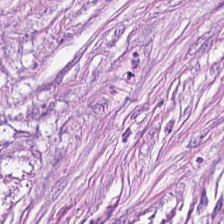0.5 µm/px; hematoxylin-and-eosin stained section. Q: What does this patch show?
A: This is cancer-associated stroma.
